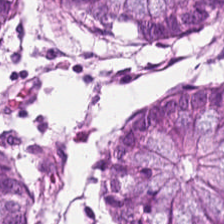H&E-stained tissue section. This field is normal colonic mucosa.
